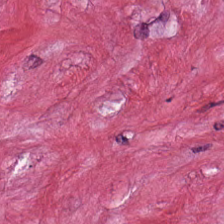Finding → cancer-associated stroma.
